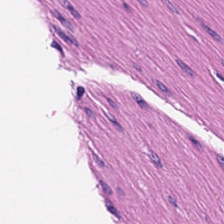H&E stain.
Q: What does this patch show?
A: The field shows muscularis.
